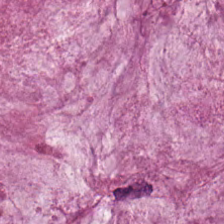Whole-slide-image patch; H&E-stained tissue section; 224×224 px tile.
Predominant tissue — mucin.
